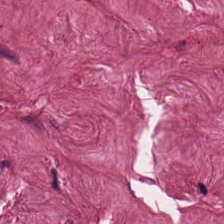H&E-stained section; the field shows desmoplastic stroma.
